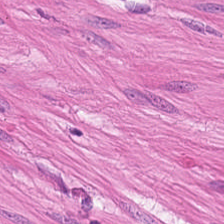This patch shows muscularis.
